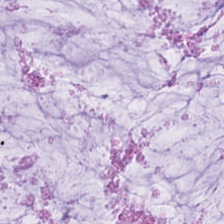Stain: H&E stain.
Tissue: mucin.
